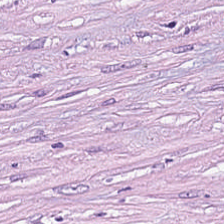Tissue class — tumor stroma.
